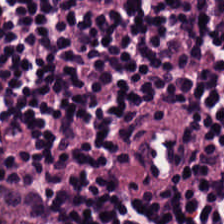H&E-stained tissue section; 0.5 µm/px — This field is lymphoid infiltrate.
